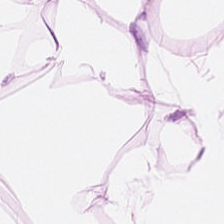0.5 microns per pixel; hematoxylin and eosin — The classification is fat tissue.
